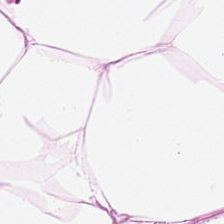Hematoxylin and eosin · brightfield. Tissue class = fat tissue.
